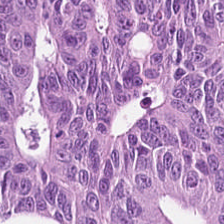H&E stain. {"tissue_type": "colorectal adenocarcinoma"}
